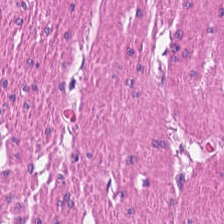H&E stain.
This patch shows smooth-muscle tissue.
